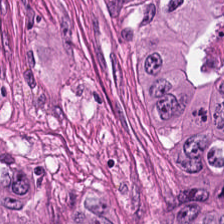H&E-stained tissue section showing malignant epithelium.
